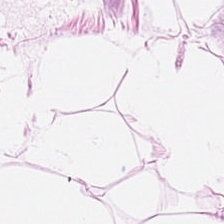H&E-stained tissue section — The tissue here is adipocytes.
